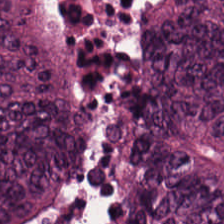WSI patch; H&E-stained tissue section.
Q: What tissue type is shown here?
A: Colorectal adenocarcinoma epithelium.
